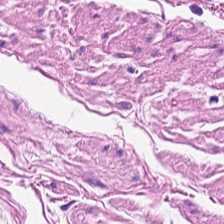224×224 pixel tile. H&E stain.
{"tissue_type": "smooth muscle"}
